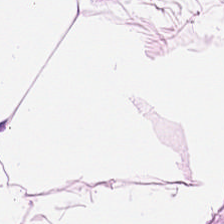H&E stain · 224×224 pixel tile. Classification: adipose tissue.
